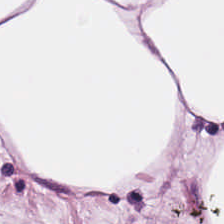Q: What is the predominant tissue type?
A: Adipose tissue.
